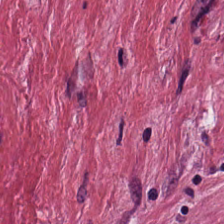Hematoxylin and eosin. 224×224 pixel tile. This patch shows cancer-associated stroma.
